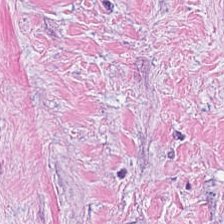224×224 px patch. Hematoxylin and eosin.
{"tissue_type": "tumor stroma"}
